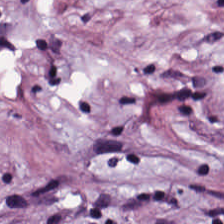H&E — The predominant tissue is cancer-associated stroma.
